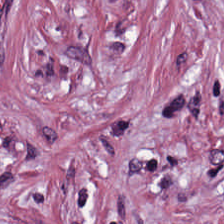FFPE · 0.5 microns per pixel · hematoxylin and eosin.
Q: What is shown in this field?
A: The field shows tumor stroma.
